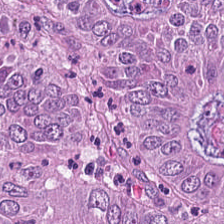Hematoxylin-and-eosin stained section — Tissue type = colorectal adenocarcinoma epithelium.
